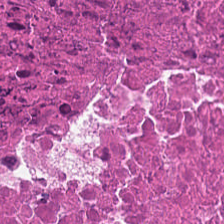Classification — debris.
